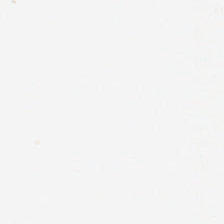H&E-stained tissue section. WSI patch — The content is background.
